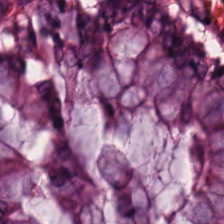H&E-stained tissue section. This field is benign colonic mucosa.
